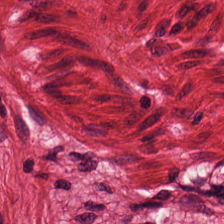224×224 pixel tile · H&E. Q: What type of tissue is this?
A: It is smooth muscle.
